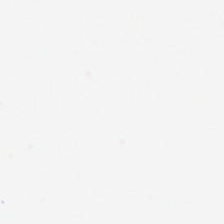H&E. {"content": "background (no tissue)"}
